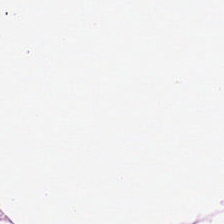H&E stain.
Finding → fat tissue.
